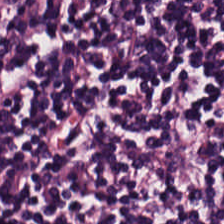Q: What is shown in this field?
A: This is lymphocytes.
